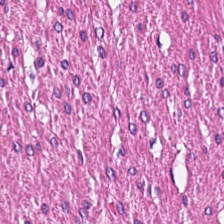Q: What type of tissue is this?
A: The field shows muscularis.
